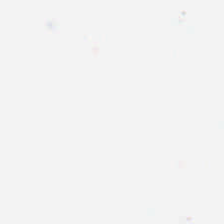0.5 µm per pixel. WSI patch. H&E stain. Background — no tissue in this field.
